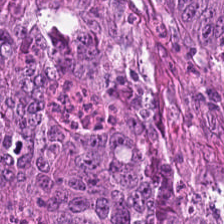Hematoxylin and eosin; 0.5 µm/px; 224×224 pixel tile. Colorectal adenocarcinoma.
